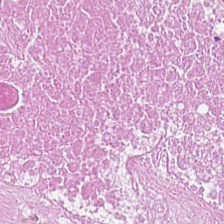0.5 µm/px; 224×224 px patch; H&E.
The tissue here is necrotic debris.
